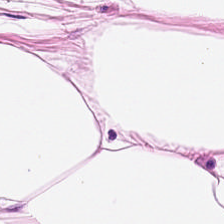H&E stain — Showing adipocytes.
